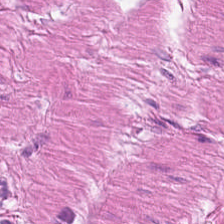Smooth-muscle tissue.
